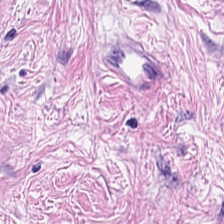Hematoxylin and eosin · 0.5 µm per pixel · FFPE tissue section.
The tissue is desmoplastic stroma.
